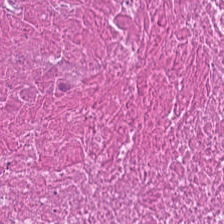H&E stain. The tissue class is necrotic debris.
